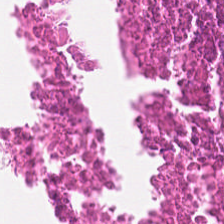0.5 µm/px · H&E.
The predominant tissue is debris.
